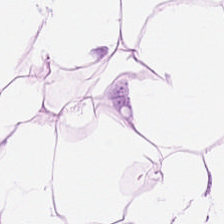H&E-stained tissue section — Impression → adipocytes.
